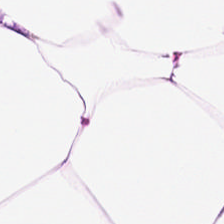H&E stain. 0.5 microns per pixel. Showing adipocytes.
